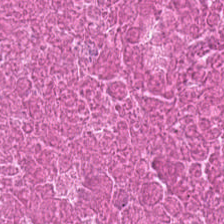H&E. Necrotic debris.
